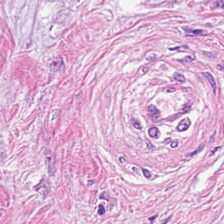H&E-stained tissue section — This patch shows cancer-associated stroma.
